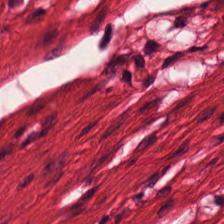Predominantly smooth muscle.
